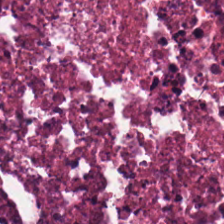Hematoxylin-and-eosin stained section. 224×224 pixel tile — Tissue — debris.
